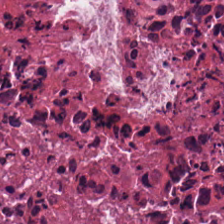H&E. Whole-slide-image patch.
Q: What is shown here?
A: This is cellular debris.
